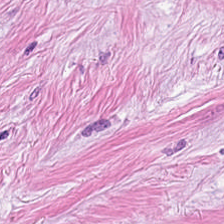H&E stain — This field is desmoplastic stroma.
